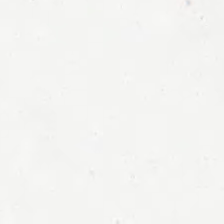Formalin-fixed paraffin-embedded section; H&E-stained tissue section — Content: background.
